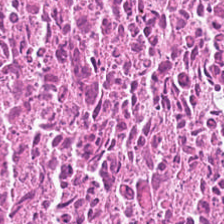Hematoxylin and eosin.
Q: Identify the tissue.
A: The field shows cellular debris.
